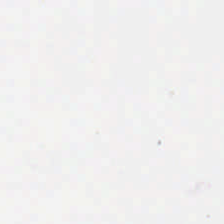H&E.
This patch shows no tissue.
